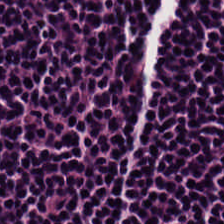Tissue — lymphocyte aggregate.
